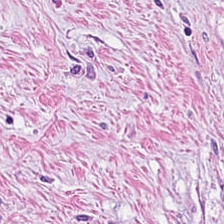H&E stain. 0.5 microns per pixel. Q: What is the predominant tissue type?
A: The field shows desmoplastic stroma.
